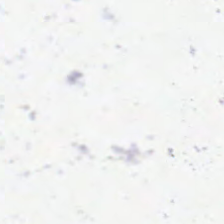H&E.
This field is background (no tissue).
